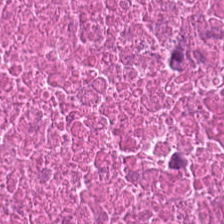Stain: H&E stain.
Tissue class: necrotic debris.
